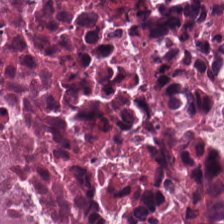Hematoxylin and eosin.
Debris.
